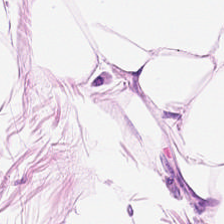20× equivalent magnification · H&E-stained tissue section.
Tissue type = fat tissue.
